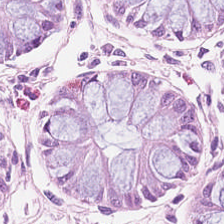Hematoxylin and eosin — Predominantly normal colonic mucosa.
